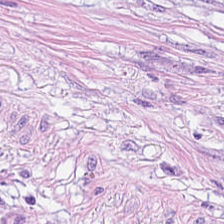H&E patch showing extracellular mucin.
